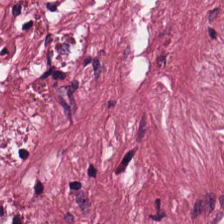H&E-stained tissue section · FFPE. The tissue here is tumor stroma.
